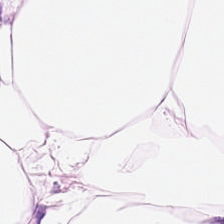Stain: hematoxylin and eosin.
Preparation: FFPE tissue section.
Predominant tissue: adipocytes.
